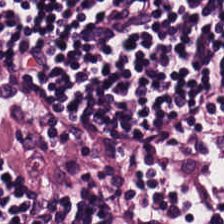H&E · 20× equivalent magnification — The predominant tissue is lymphocytes.
